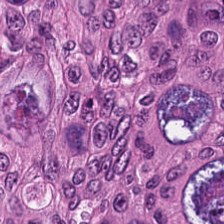0.5 µm/px. 224×224 px patch. H&E-stained tissue section. This field is adenocarcinoma.
